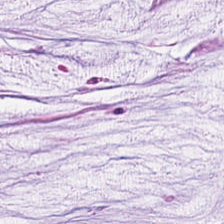H&E-stained tissue section. Brightfield microscopy — Histology → extracellular mucin.
